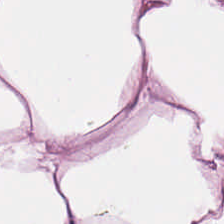H&E. Predominantly fat tissue.
